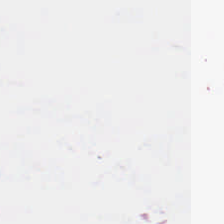Brightfield microscopy; H&E; 224×224 px tile.
Finding → background.
